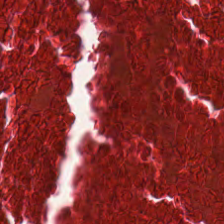H&E stain — The predominant tissue is necrotic debris.
